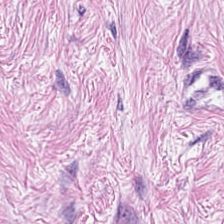H&E.
Q: Identify the tissue.
A: Cancer-associated stroma.
